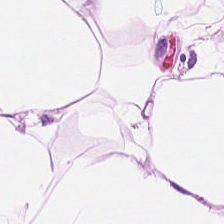Stain: H&E-stained tissue section.
Tile size: 224×224 px patch.
Tissue type: adipose tissue.
